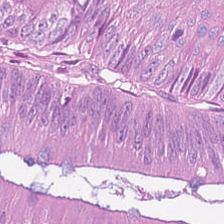H&E.
The tissue is tumor epithelium.
